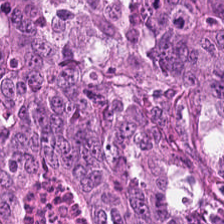Hematoxylin and eosin. Q: What is shown in this field?
A: It is malignant epithelium.
